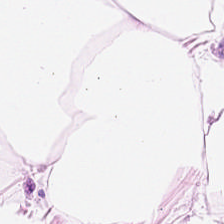Hematoxylin and eosin.
Predominant tissue = fat tissue.
